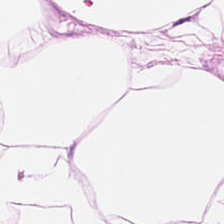Showing adipocytes.
